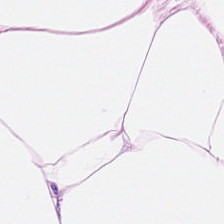Hematoxylin-and-eosin stained section. Finding — adipocytes.
